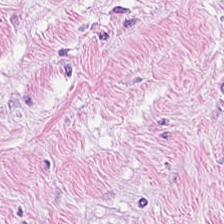Stain: hematoxylin-and-eosin stained section.
Tile size: 224×224 px patch.
Predominant tissue: cancer-associated stroma.
